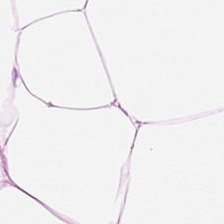Whole-slide-image patch · H&E-stained tissue section — Tissue class: adipose.
